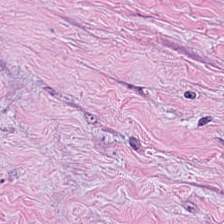H&E stain — {"tissue_type": "desmoplastic stroma"}
